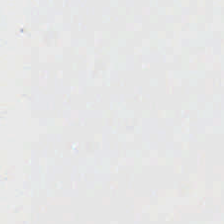H&E — Content: background.
